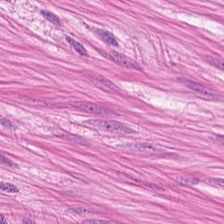224×224 px tile. FFPE. H&E.
Finding — smooth muscle.
